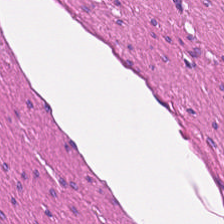Hematoxylin and eosin — Predominant tissue = smooth muscle.
